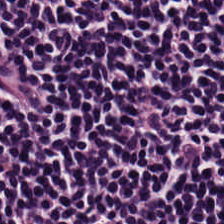The tissue here is lymphocytic infiltrate.
